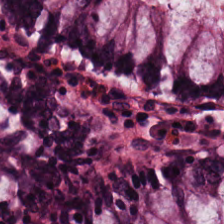FFPE tissue section · hematoxylin and eosin.
Benign colonic mucosa.
